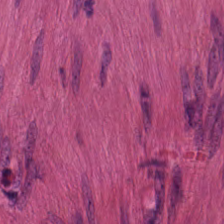Hematoxylin and eosin. FFPE — {"tissue_type": "smooth muscle"}
